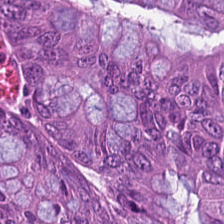H&E-stained tissue section. Showing malignant epithelium.
